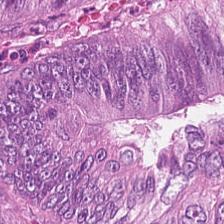H&E-stained tissue section — Finding — adenocarcinoma.
